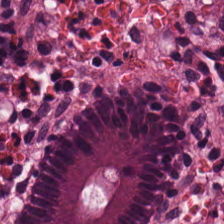Stain: H&E.
Tissue class: normal colonic mucosa.
